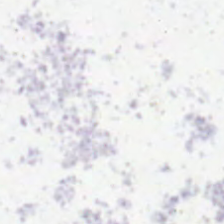H&E. The content is no tissue.
